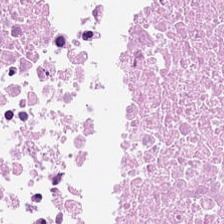Q: What is shown in this field?
A: It is cellular debris.
